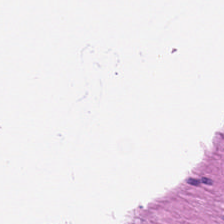Hematoxylin and eosin — The tissue here is muscularis.
